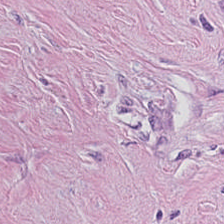Q: What is shown in this field?
A: This is tumor stroma.
